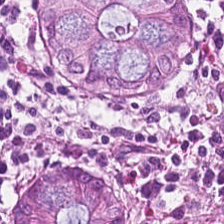{"tissue_type": "benign colonic mucosa"}
